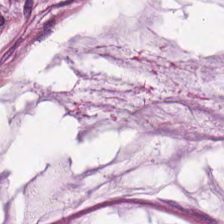Stain: hematoxylin and eosin.
Tissue: mucin.
